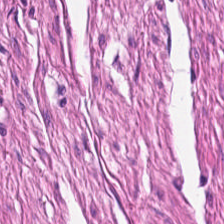Stain: H&E-stained tissue section.
Tissue: smooth muscle.
